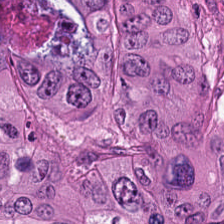224×224 px patch; hematoxylin and eosin. The tissue here is adenocarcinoma.
